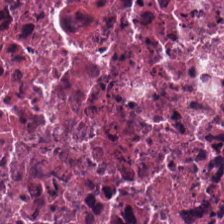Hematoxylin and eosin — Q: What is shown here?
A: This is necrotic debris.
